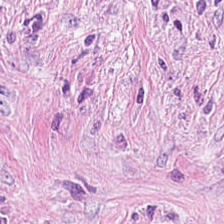Stain: hematoxylin and eosin.
Tissue: tumor stroma.
